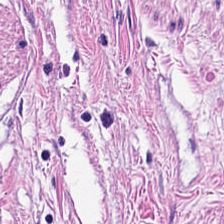Stain: H&E-stained tissue section.
Classification: smooth-muscle tissue.
